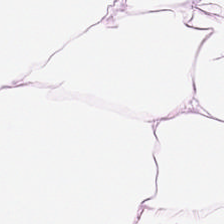Stain: H&E stain.
Tissue class: adipose.
